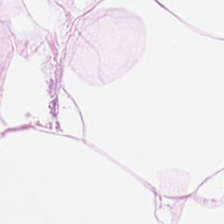H&E stain. Q: What is shown here?
A: Adipocytes.
